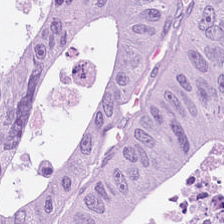H&E-stained tissue section.
The predominant tissue is adenocarcinoma.
